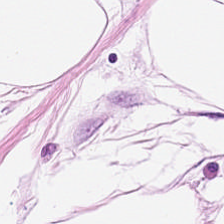Hematoxylin-and-eosin stained section — Showing fat tissue.
